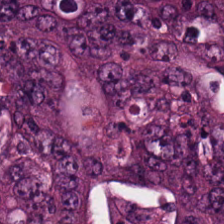FFPE tissue section; H&E. {"tissue_type": "colorectal adenocarcinoma epithelium"}
